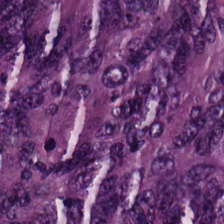H&E — Q: What is the predominant tissue type?
A: It is colorectal adenocarcinoma epithelium.
